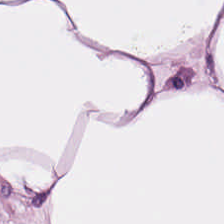H&E.
Predominantly fat tissue.
